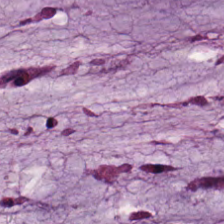H&E stain. 20× equivalent magnification.
This field is mucus.
